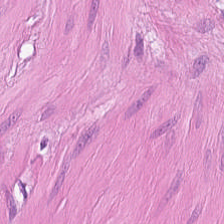Classification — smooth muscle.
